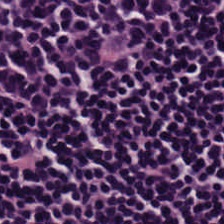0.5 µm per pixel · H&E. Q: Identify the tissue.
A: The field shows lymphocytic infiltrate.
